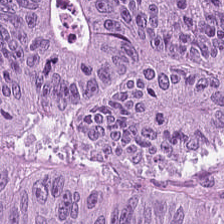20× equivalent magnification · hematoxylin-and-eosin stained section · 224×224 px patch — This field is tumor epithelium.
